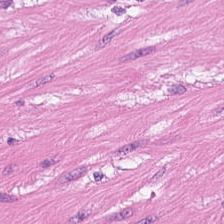H&E stain — Smooth-muscle tissue.
